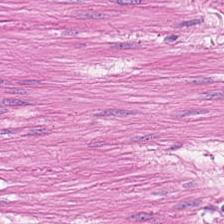H&E stain.
The predominant tissue is muscularis.
